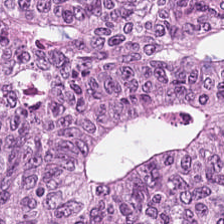Stain: hematoxylin and eosin.
Tissue type: colorectal adenocarcinoma.
